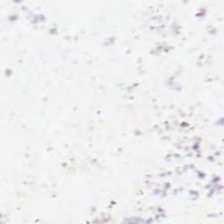H&E stain. 20× equivalent magnification. Brightfield microscopy. Content: empty background.
